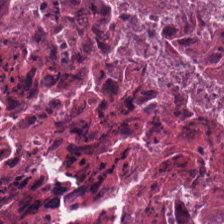Brightfield microscopy; H&E.
Showing debris.
